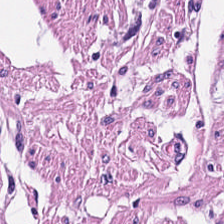Stain: H&E stain.
Predominant tissue: smooth muscle.
